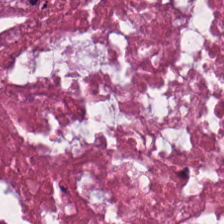Stain: H&E.
Acquisition: brightfield.
Tissue class: cellular debris.
